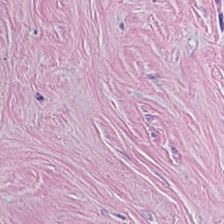FFPE tissue section · hematoxylin and eosin. This patch shows desmoplastic stroma.
